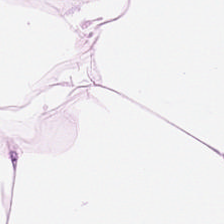Hematoxylin and eosin. Tissue type = fat tissue.
